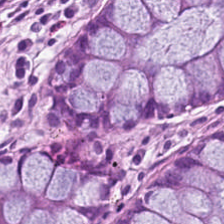H&E-stained tissue section.
Histology → non-neoplastic colon mucosa.
